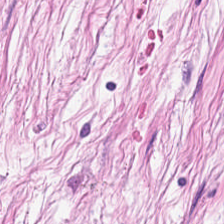H&E stain.
The predominant tissue is desmoplastic stroma.
